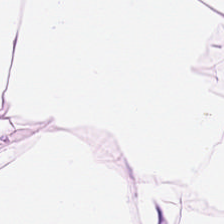H&E-stained tissue section.
The tissue is adipocytes.
